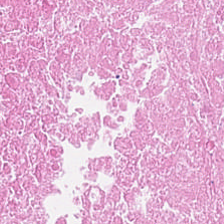Brightfield microscopy · H&E-stained tissue section.
Necrotic debris.
